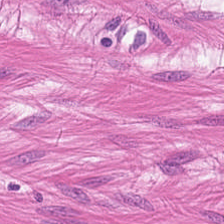Stain: hematoxylin-and-eosin stained section.
Classification: smooth muscle.
